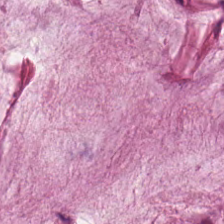Stain: H&E.
Tissue: extracellular mucin.
